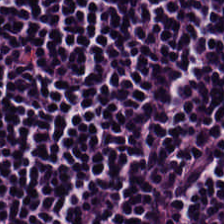Hematoxylin and eosin · 224×224 pixel tile. Predominantly lymphoid infiltrate.
